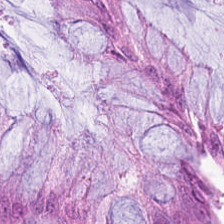H&E. Normal colonic mucosa.
